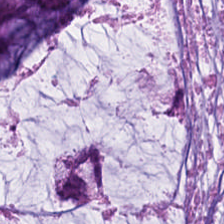Hematoxylin and eosin — This patch shows mucus.
